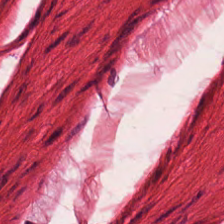H&E-stained tissue section — Showing smooth-muscle tissue.
